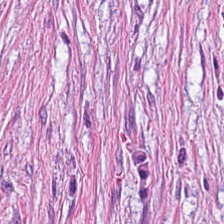0.5 µm per pixel; H&E-stained tissue section; brightfield. Q: What is shown in this field?
A: This is tumor stroma.
